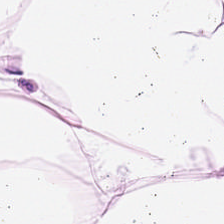224×224 px tile. H&E stain.
Histology → adipocytes.
